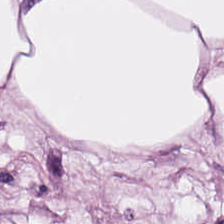H&E-stained tissue section. Predominantly fat tissue.
